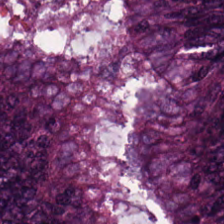FFPE. Hematoxylin and eosin. 0.5 microns per pixel. Predominantly malignant epithelium.
